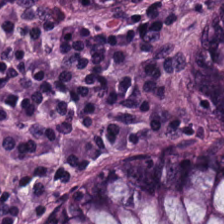Hematoxylin-and-eosin section: non-neoplastic colon mucosa.
